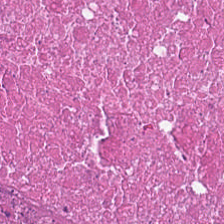FFPE tissue section · hematoxylin and eosin · 0.5 microns per pixel. Classification = necrotic debris.
